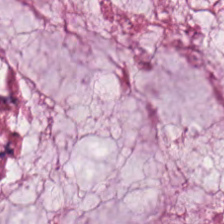Brightfield microscopy; hematoxylin and eosin; FFPE — Tissue type: extracellular mucin.
